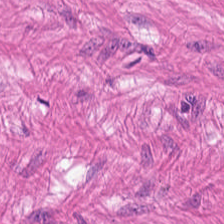Hematoxylin and eosin. Smooth muscle.
